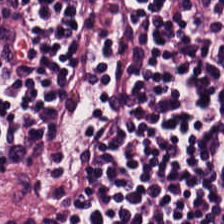FFPE · hematoxylin-and-eosin stained section · 0.5 µm/px.
Lymphocytes.
